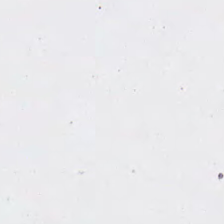Brightfield · H&E stain. Q: Classify this patch.
A: It is background.
